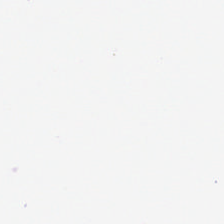H&E · 224×224 px patch — Field content — background.
